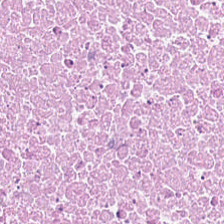0.5 µm per pixel; H&E-stained tissue section; WSI patch. Predominantly necrotic debris.
